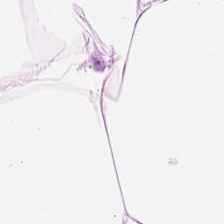Classification — adipocytes.
